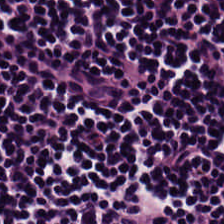224×224 px patch; H&E-stained tissue section.
This field is lymphocyte aggregate.
